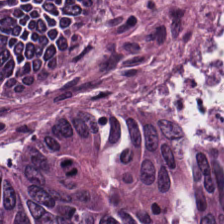H&E. Q: What does this patch show?
A: It is colorectal adenocarcinoma epithelium.
